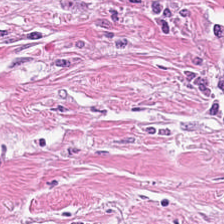H&E; 20× equivalent magnification. Tissue type: desmoplastic stroma.
